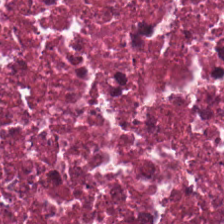Hematoxylin and eosin. {"tissue_type": "debris"}
